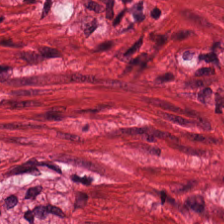H&E stain; brightfield — The tissue is smooth muscle.
